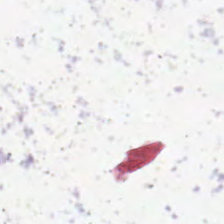WSI patch · 224×224 pixel tile · H&E — The content is empty background.
